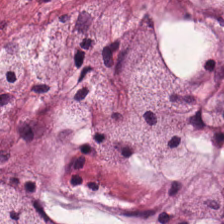Hematoxylin and eosin.
Showing extracellular mucin.
